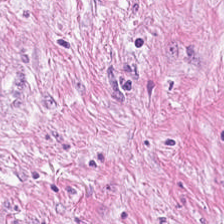Stain: hematoxylin-and-eosin stained section.
Tissue class: desmoplastic stroma.
